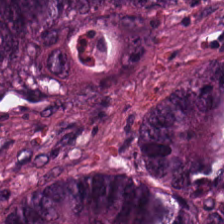H&E stain — Showing colorectal adenocarcinoma.
